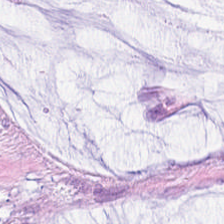0.5 microns per pixel · 224×224 px tile · H&E-stained tissue section — This field is mucus.
